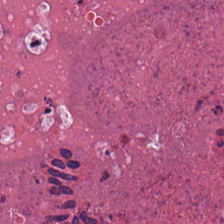Stain: hematoxylin and eosin.
Preparation: formalin-fixed paraffin-embedded section.
Tissue class: cellular debris.
